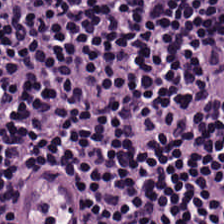20× equivalent magnification. 224×224 px patch. Hematoxylin and eosin.
The predominant tissue is lymphocyte aggregate.
